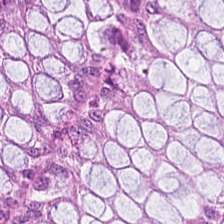Hematoxylin and eosin. The predominant tissue is non-neoplastic colon mucosa.
